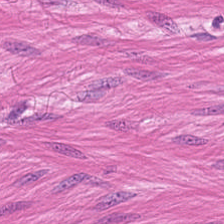H&E stain · 0.5 µm/px · 224×224 px tile — Predominant tissue = smooth muscle.
